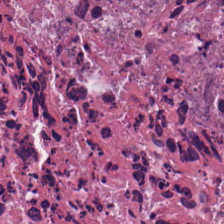Hematoxylin and eosin.
This patch shows debris.
